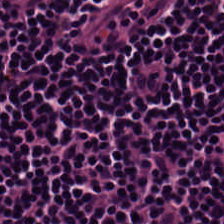Q: What type of tissue is this?
A: It is lymphocyte aggregate.
